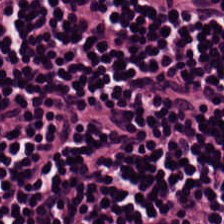0.5 µm/px · 224×224 px patch · hematoxylin and eosin — Q: Classify this patch.
A: Lymphocytic infiltrate.
